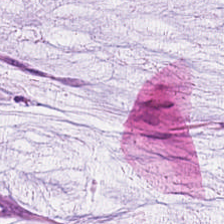Stain: H&E stain.
Tissue: extracellular mucin.
